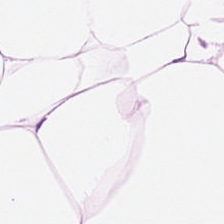H&E-stained tissue section. This patch shows adipocytes.
